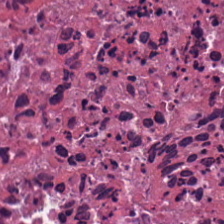H&E-stained tissue section. The tissue here is debris.
